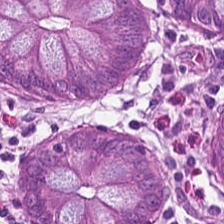H&E stain. 20× equivalent magnification — Q: Classify this patch.
A: It is normal colonic mucosa.
